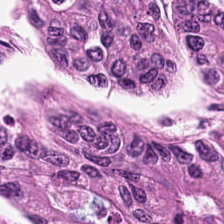0.5 microns per pixel; hematoxylin-and-eosin stained section. The tissue here is colorectal adenocarcinoma epithelium.
